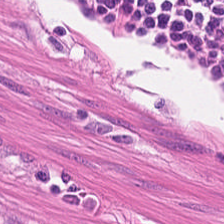Brightfield. 20× equivalent magnification. Hematoxylin-and-eosin stained section.
Q: Classify this patch.
A: The field shows smooth-muscle tissue.
